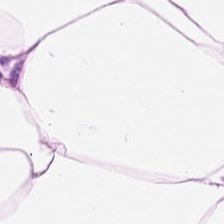Tissue type: adipocytes.
